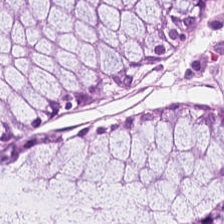FFPE. H&E-stained tissue section.
Predominant tissue = non-neoplastic colon mucosa.
